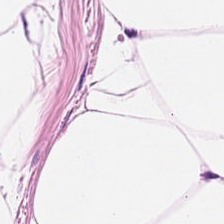20× equivalent magnification · hematoxylin and eosin — Histology — adipose tissue.
